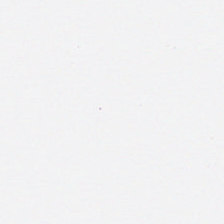0.5 µm per pixel; H&E.
Field content: empty background.
